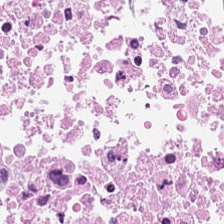H&E stain; 0.5 microns per pixel. Tissue: cellular debris.
